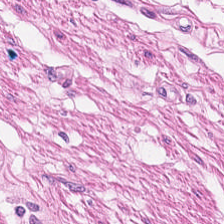Showing smooth muscle.
